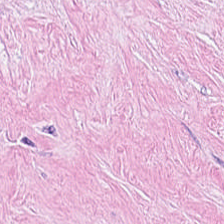Hematoxylin-and-eosin stained section; formalin-fixed paraffin-embedded section. Showing tumor-associated stroma.
